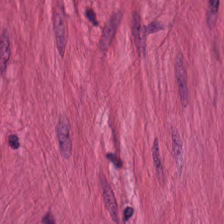Stain: H&E.
Tissue class: muscularis.
